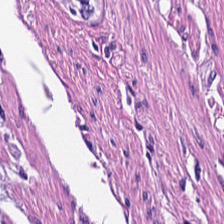0.5 µm/px. FFPE tissue section. H&E.
The tissue here is smooth muscle.
